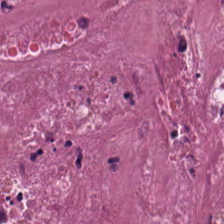H&E patch showing cellular debris.
